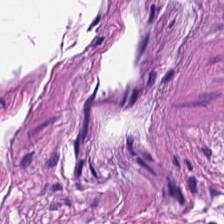Tissue class = muscularis.
